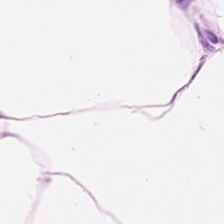Finding → adipocytes.
